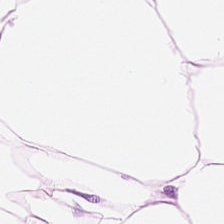Hematoxylin and eosin; 20× equivalent magnification. This field is adipose.
